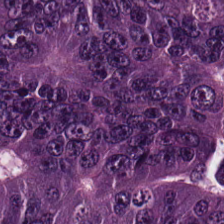Hematoxylin-and-eosin stained section — Histology → malignant epithelium.
